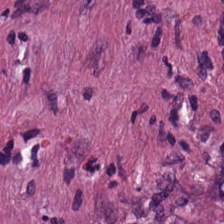H&E. Formalin-fixed paraffin-embedded section.
This field is desmoplastic stroma.
